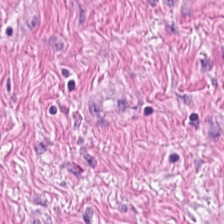Hematoxylin-and-eosin stained section; FFPE; 20× equivalent magnification — The predominant tissue is muscularis.
